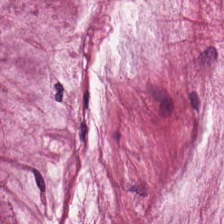H&E — Tissue type = mucus.
